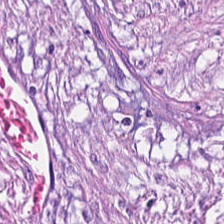224×224 pixel tile · brightfield microscopy · H&E — {"tissue_type": "cancer-associated stroma"}
